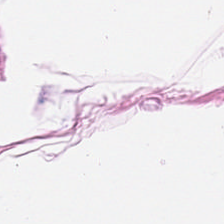Hematoxylin and eosin. Tissue class = adipocytes.
